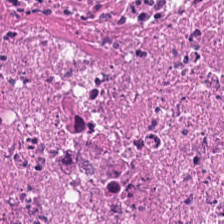H&E stain. Classification — necrotic debris.
